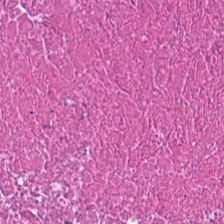H&E stain.
Predominant tissue: debris.
